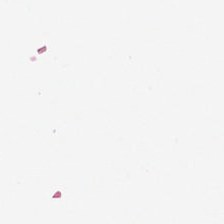H&E-stained tissue section. The field content is background.
